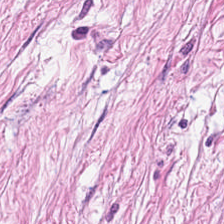H&E stain.
The predominant tissue is tumor-associated stroma.
